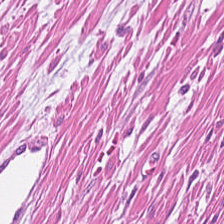Brightfield; H&E-stained tissue section.
This field is muscularis.
